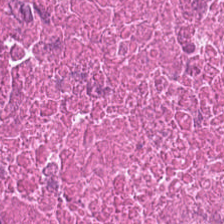H&E. The tissue here is cellular debris.
